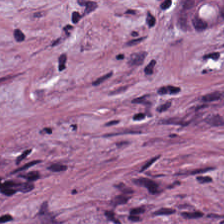Hematoxylin-and-eosin stained section — Predominantly cancer-associated stroma.
